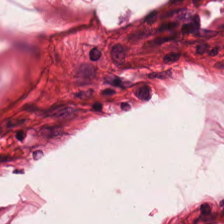224×224 px tile; whole-slide-image patch; hematoxylin and eosin. Q: What tissue is shown?
A: Muscularis.
